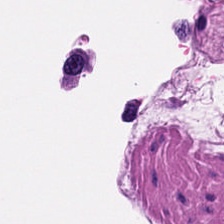Hematoxylin-and-eosin stained section · formalin-fixed paraffin-embedded section. Impression → smooth-muscle tissue.
